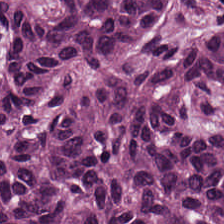Hematoxylin-and-eosin stained section — {"tissue_type": "colorectal adenocarcinoma"}
